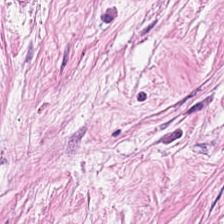Q: What is the predominant tissue type?
A: Tumor-associated stroma.
